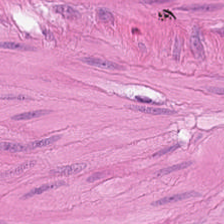224×224 px patch. H&E stain. Brightfield microscopy.
The tissue here is muscularis.
